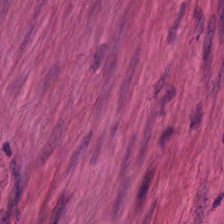This patch shows smooth-muscle tissue.
